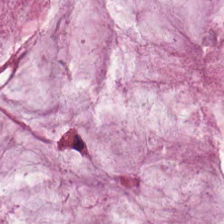224×224 px patch · H&E-stained tissue section · whole-slide-image patch — Predominantly mucus.
